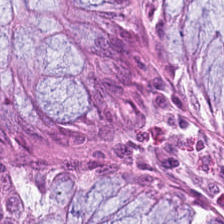FFPE tissue section; hematoxylin and eosin — This patch shows benign colonic mucosa.
